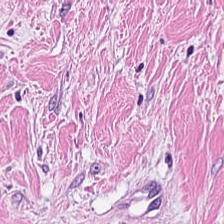H&E-stained tissue section.
Q: Identify the tissue.
A: The field shows tumor-associated stroma.
